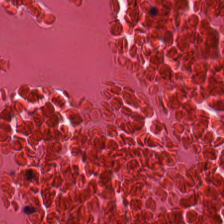H&E-stained tissue section. Tissue class = necrotic debris.
